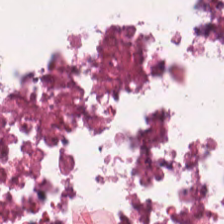H&E-stained tissue section. Classification: debris.
